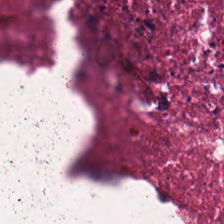Hematoxylin-and-eosin section: debris.
